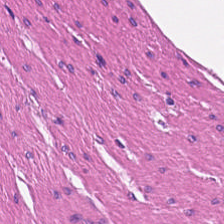H&E stain — Q: What is shown in this field?
A: Smooth muscle.
